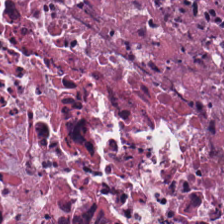Brightfield. H&E.
Predominantly cellular debris.
